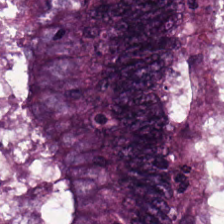H&E-stained tissue section. 0.5 microns per pixel. Brightfield microscopy — Impression — tumor epithelium.
